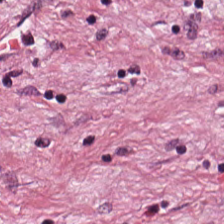Stain: hematoxylin-and-eosin stained section.
Preparation: FFPE tissue section.
Tile size: 224×224 pixel tile.
Predominant tissue: cancer-associated stroma.
